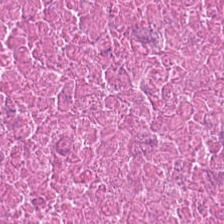Q: What type of tissue is this?
A: The field shows necrotic debris.
